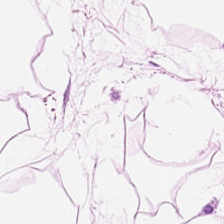Q: Classify this patch.
A: Fat tissue.
